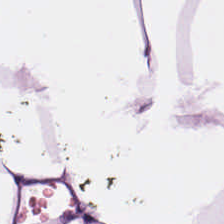H&E-stained tissue section. Adipose tissue.
